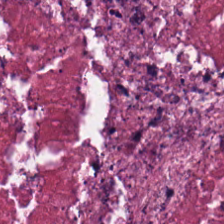H&E stain.
Q: Identify the tissue.
A: This is necrotic debris.
